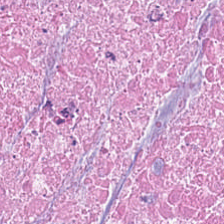Hematoxylin and eosin. Classification: debris.
